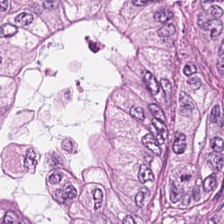Tissue type: colorectal adenocarcinoma epithelium.
